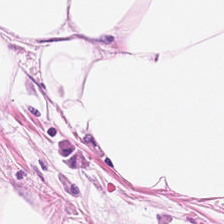Hematoxylin and eosin — This patch shows adipose tissue.
